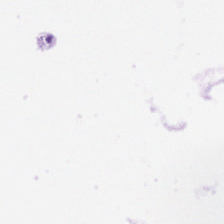20× equivalent magnification; 224×224 px patch; H&E stain. Background — no tissue in this field.
